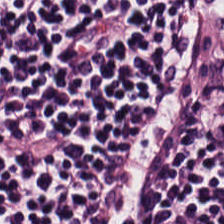Hematoxylin-and-eosin stained section.
The tissue is lymphocyte aggregate.
